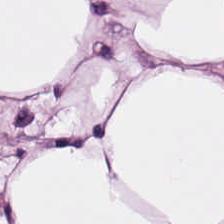H&E-stained tissue section — Showing adipose tissue.
